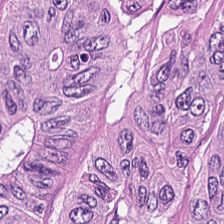Hematoxylin-and-eosin stained section — Predominantly malignant epithelium.
